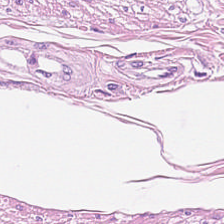Hematoxylin-and-eosin stained section — Predominant tissue — muscularis.
